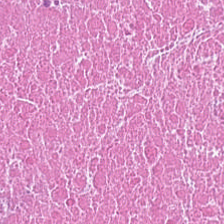Hematoxylin-and-eosin stained section · 0.5 µm per pixel · whole-slide-image patch — Tissue type: necrotic debris.
